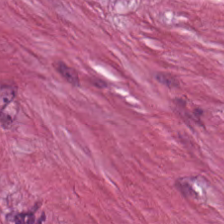Stain: hematoxylin-and-eosin stained section.
Resolution: 0.5 µm per pixel.
Predominant tissue: cancer-associated stroma.
